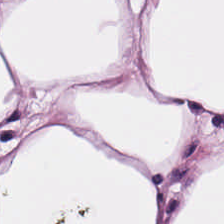Q: Identify the tissue.
A: Adipocytes.
